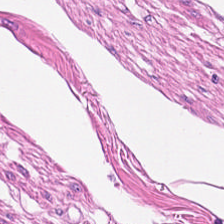{"tissue_type": "smooth-muscle tissue"}
